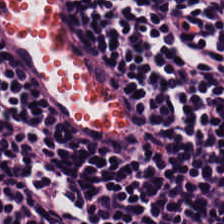H&E-stained tissue section.
Lymphocytes.
